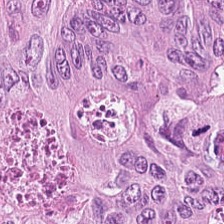H&E. {"tissue_type": "tumor epithelium"}
